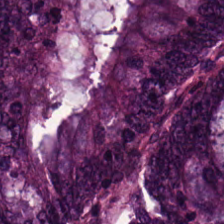H&E stain — Predominantly adenocarcinoma.
